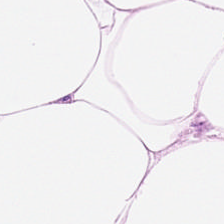H&E — Impression → adipocytes.
